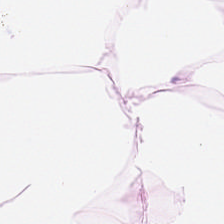H&E. Q: What does this patch show?
A: This is adipocytes.
